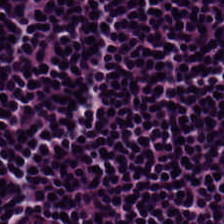H&E-stained tissue section; 0.5 microns per pixel.
Predominantly lymphoid infiltrate.
